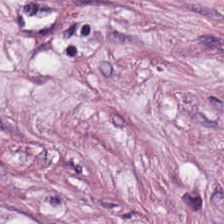Hematoxylin-and-eosin stained section. The tissue here is cancer-associated stroma.
